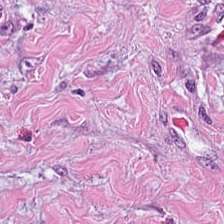Stain: H&E stain.
Tissue class: tumor-associated stroma.
